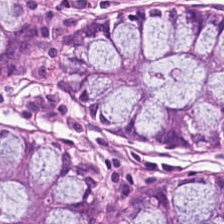H&E stain; 224×224 pixel tile.
Tissue — benign colonic mucosa.
